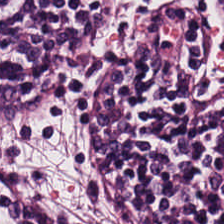H&E stain. 224×224 px patch. Q: What is the predominant tissue type?
A: It is lymphocytes.
